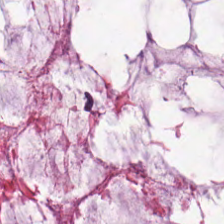H&E patch showing mucin.
